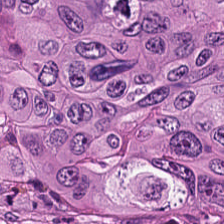Q: What type of tissue is this?
A: The field shows adenocarcinoma.
